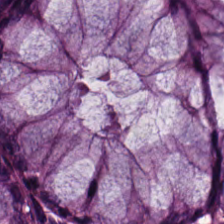Stain: H&E-stained tissue section.
Tissue type: benign colonic mucosa.
